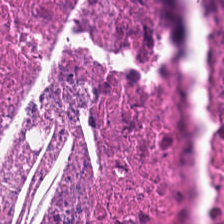H&E stain — Q: What is the predominant tissue type?
A: The field shows necrotic debris.
